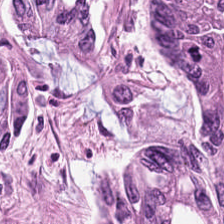Hematoxylin and eosin; brightfield — Impression — malignant epithelium.
